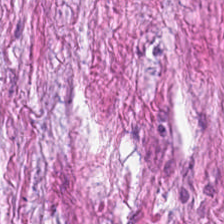Hematoxylin-and-eosin stained section; formalin-fixed paraffin-embedded section — Showing tumor-associated stroma.
